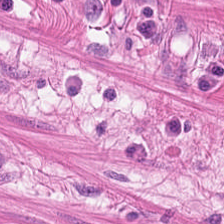H&E-stained tissue section.
Showing muscularis.
